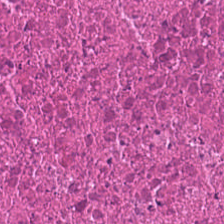This patch shows debris.
